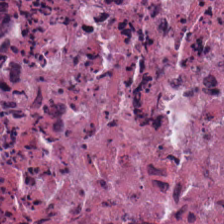H&E stain.
Histology — cellular debris.
